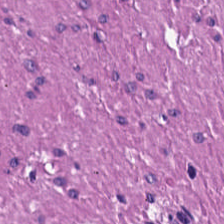H&E stain. This patch shows smooth-muscle tissue.
